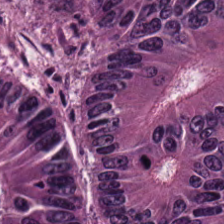0.5 µm/px; H&E.
Showing colorectal adenocarcinoma.
